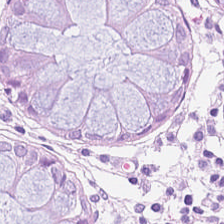Q: What tissue is shown?
A: Normal colon mucosa.
